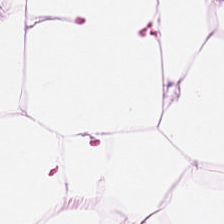H&E patch showing adipose tissue.
